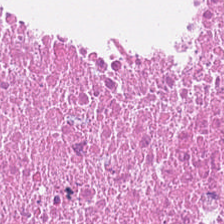Stain: hematoxylin and eosin.
Acquisition: brightfield microscopy.
Predominant tissue: cellular debris.
